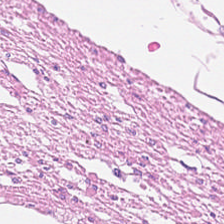Hematoxylin-and-eosin section: smooth muscle.
